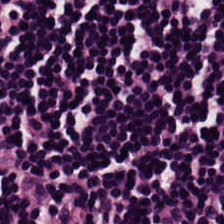Hematoxylin and eosin. Predominant tissue = lymphocytic infiltrate.
